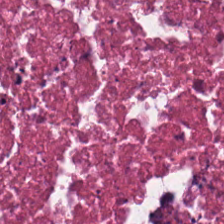H&E. Tissue: necrotic debris.
